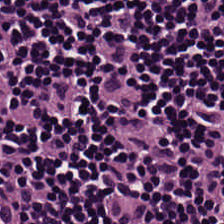224×224 px patch · H&E stain.
Impression — lymphocytes.
